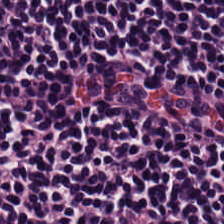H&E-stained tissue section · FFPE. {"tissue_type": "lymphoid infiltrate"}
